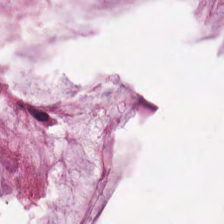Tissue = mucus.
